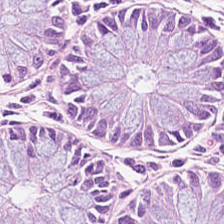Formalin-fixed paraffin-embedded section · hematoxylin-and-eosin stained section · 224×224 px tile — Q: What is shown here?
A: This is non-neoplastic colon mucosa.
